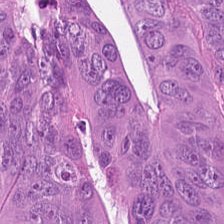Stain: hematoxylin and eosin.
Classification: malignant epithelium.
